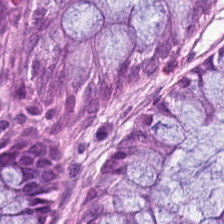Non-neoplastic colon mucosa.
